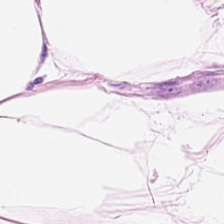Hematoxylin-and-eosin stained section. Histology → adipocytes.
